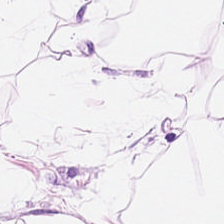Finding → adipocytes.
